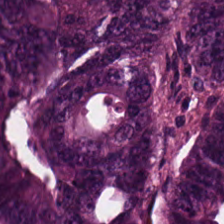The tissue class is colorectal adenocarcinoma epithelium.
